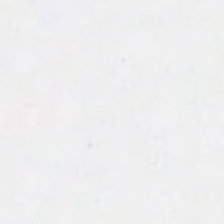Histology — no tissue.
